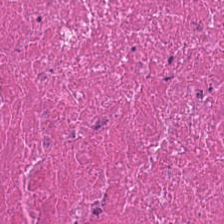Hematoxylin-and-eosin stained section. Q: What type of tissue is this?
A: The field shows necrotic debris.
